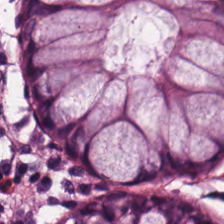H&E-stained tissue section showing benign colonic mucosa.
